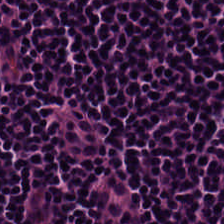The predominant tissue is lymphocytic infiltrate.
